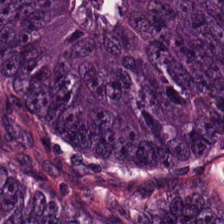Q: What is shown here?
A: Colorectal adenocarcinoma.
